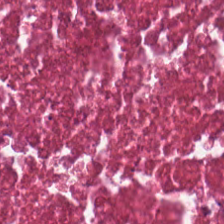H&E stain. This patch shows debris.
